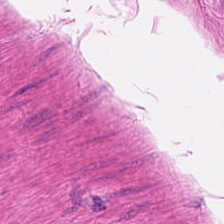Hematoxylin-and-eosin stained section. 0.5 µm per pixel. Formalin-fixed paraffin-embedded section.
{"tissue_type": "smooth-muscle tissue"}
